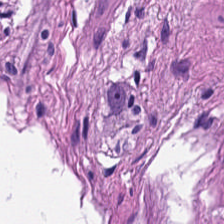Hematoxylin-and-eosin stained section. Whole-slide-image patch — Tissue type — smooth-muscle tissue.
